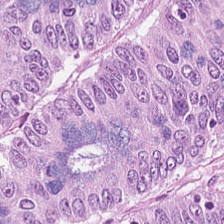{"tissue_type": "adenocarcinoma"}
